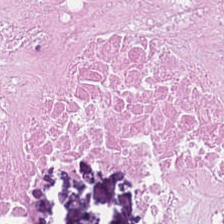{"tissue_type": "cellular debris"}
